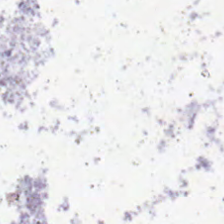Brightfield microscopy. FFPE tissue section. Hematoxylin-and-eosin stained section. Q: What does this patch show?
A: It is empty background.
